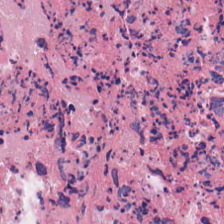Stain: H&E stain.
Tissue type: necrotic debris.
